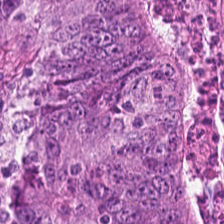Hematoxylin-and-eosin stained section · brightfield microscopy · FFPE — The tissue here is colorectal adenocarcinoma.
